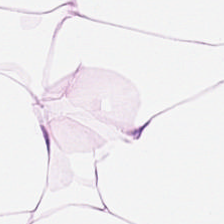H&E-stained tissue section.
Tissue class = fat tissue.
